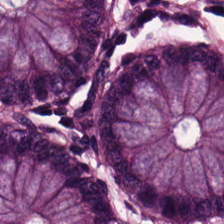Hematoxylin and eosin.
Histology → normal colon mucosa.
